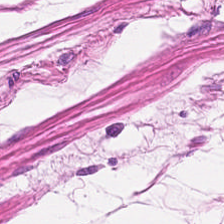H&E — This field is smooth-muscle tissue.
